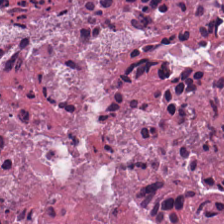H&E — Classification: cellular debris.
